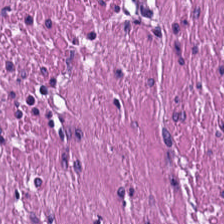Stain: H&E.
Preparation: FFPE.
Resolution: 0.5 microns per pixel.
Predominant tissue: smooth muscle.
